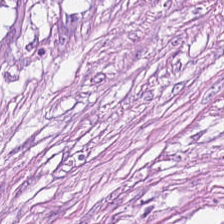224×224 pixel tile. H&E — Q: What is the predominant tissue type?
A: Desmoplastic stroma.
